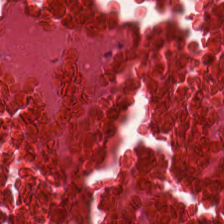H&E — debris.
